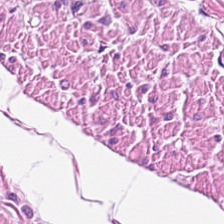Stain: hematoxylin-and-eosin stained section.
Resolution: 20× equivalent magnification.
Tissue type: smooth muscle.
